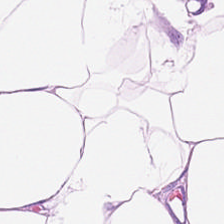Impression → adipose.
